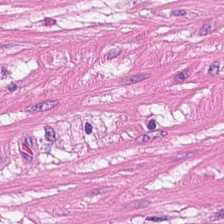Hematoxylin and eosin. The tissue is smooth muscle.
